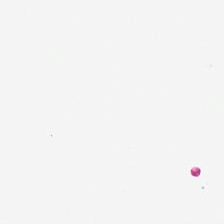H&E-stained tissue section. WSI patch.
Finding → empty background.
